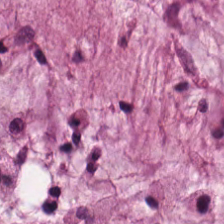FFPE; hematoxylin-and-eosin stained section — The predominant tissue is mucus.
